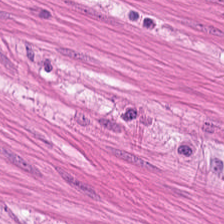Brightfield. Hematoxylin-and-eosin stained section — Tissue class = smooth-muscle tissue.
